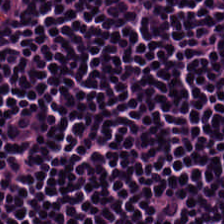H&E; brightfield; formalin-fixed paraffin-embedded section.
This field is lymphoid infiltrate.
